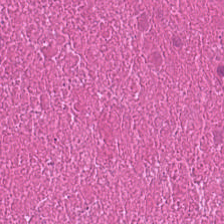224×224 px patch · H&E-stained tissue section — Tissue class — debris.
